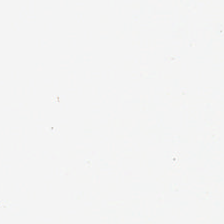The classification is background.
